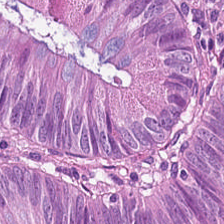Stain: hematoxylin and eosin.
Tissue type: tumor epithelium.
